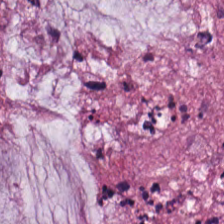Hematoxylin and eosin — The tissue here is extracellular mucin.
